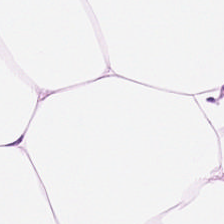H&E stain · 224×224 px patch · brightfield — Adipose.
